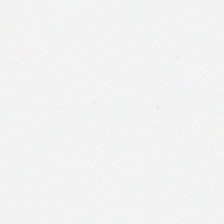This patch shows no tissue.
